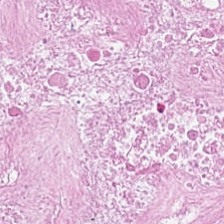FFPE · hematoxylin-and-eosin stained section — The tissue class is cellular debris.
